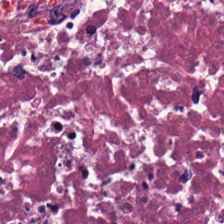Stain: H&E-stained tissue section.
Acquisition: brightfield.
Preparation: FFPE.
Tissue class: necrotic debris.
